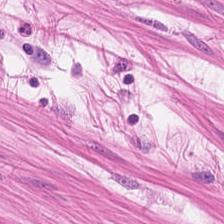Whole-slide-image patch. H&E-stained tissue section.
Tissue = smooth muscle.
